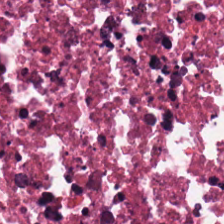Hematoxylin-and-eosin stained section — Tissue class = necrotic debris.
